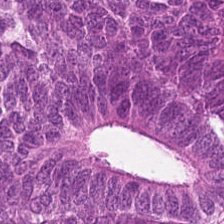0.5 µm per pixel · H&E.
This field is colorectal adenocarcinoma.
